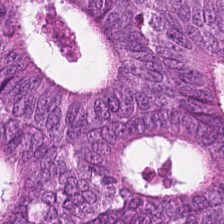Q: What is shown in this field?
A: This is adenocarcinoma.
